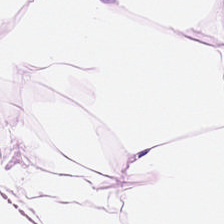224×224 pixel tile · hematoxylin-and-eosin stained section. Classification — adipocytes.
